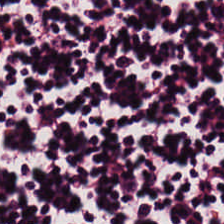Brightfield; hematoxylin and eosin; 0.5 µm per pixel. This field is lymphocyte aggregate.
